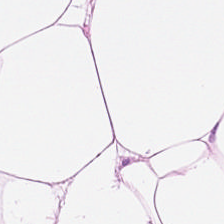Stain: H&E.
Tile size: 224×224 px patch.
Resolution: 0.5 µm per pixel.
Tissue type: adipocytes.
